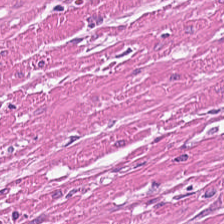Stain: H&E.
Tissue type: smooth-muscle tissue.
